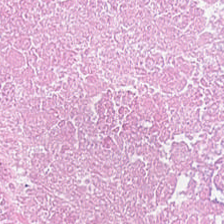Impression → necrotic debris.
